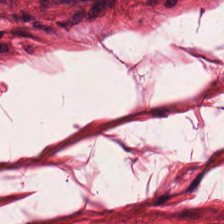Predominant tissue: smooth muscle.
